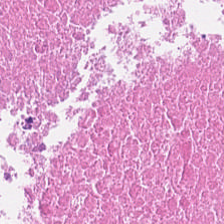0.5 µm per pixel · formalin-fixed paraffin-embedded section · H&E-stained tissue section. Impression → debris.
